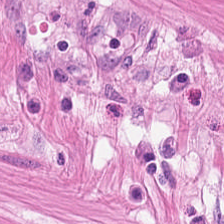Brightfield; 224×224 px tile; H&E stain.
This patch shows smooth-muscle tissue.
